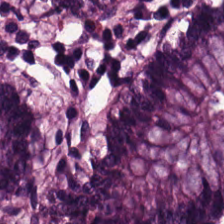0.5 µm/px; H&E-stained tissue section.
The predominant tissue is normal colonic mucosa.
